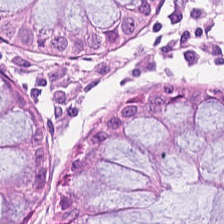224×224 pixel tile · hematoxylin-and-eosin stained section.
Classification — non-neoplastic colon mucosa.
